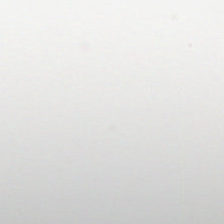Brightfield; hematoxylin and eosin; FFPE.
Q: What is shown in this field?
A: The field shows empty background.
